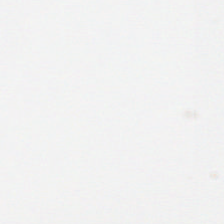224×224 px tile; H&E-stained tissue section. Content — empty background.
